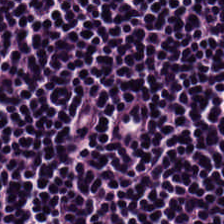Stain: hematoxylin and eosin.
Predominant tissue: lymphocytic infiltrate.
